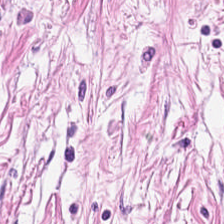Stain: hematoxylin-and-eosin stained section.
Resolution: 0.5 microns per pixel.
Acquisition: WSI patch.
Tissue type: tumor-associated stroma.
